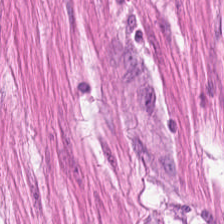Tissue = smooth-muscle tissue.
